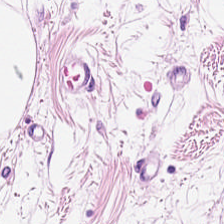Hematoxylin and eosin. Whole-slide-image patch. FFPE.
This patch shows adipocytes.
